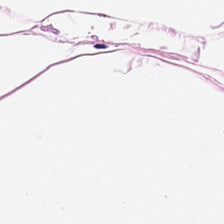H&E. Q: What is the predominant tissue type?
A: This is adipose.
